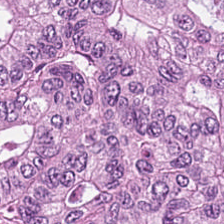224×224 px patch; H&E.
Predominant tissue: colorectal adenocarcinoma epithelium.
